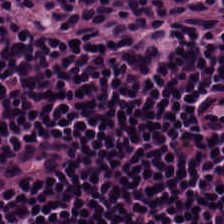Hematoxylin-and-eosin section: lymphoid infiltrate.
